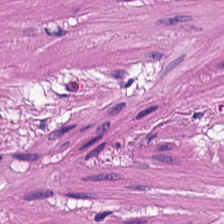Hematoxylin-and-eosin stained section; formalin-fixed paraffin-embedded section.
Tissue type = smooth muscle.
